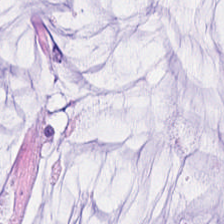{"tissue_type": "mucus"}
